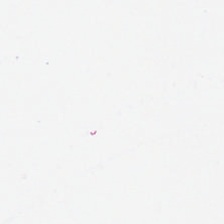Stain: hematoxylin and eosin.
Tile size: 224×224 px patch.
Content: empty background.
